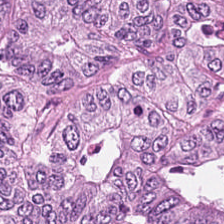Stain: H&E stain.
Tissue type: colorectal adenocarcinoma epithelium.
